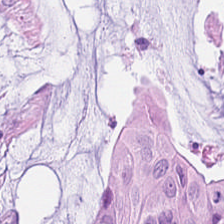Hematoxylin-and-eosin stained section · 224×224 px patch — Tissue: mucus.
